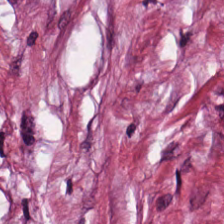Classification: desmoplastic stroma.
